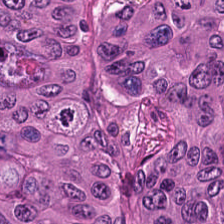H&E-stained tissue section. WSI patch. FFPE — This patch shows colorectal adenocarcinoma.
